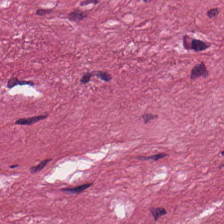0.5 µm per pixel; H&E-stained tissue section; FFPE tissue section — Q: What type of tissue is this?
A: Desmoplastic stroma.
